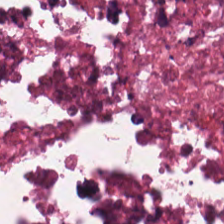FFPE tissue section · 0.5 µm per pixel · H&E-stained tissue section. The tissue here is cellular debris.
